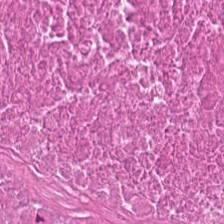Stain: H&E stain.
Acquisition: brightfield.
Preparation: FFPE.
Tissue type: debris.
